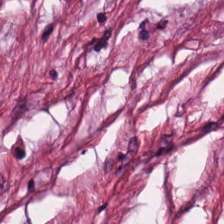Hematoxylin-and-eosin stained section.
Histology → tumor stroma.
